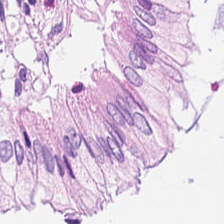Hematoxylin-and-eosin stained section. FFPE. Histology → non-neoplastic colon mucosa.
